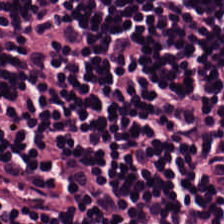Impression → lymphocytes.
